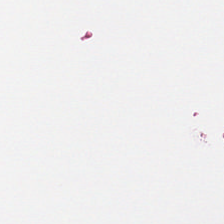Hematoxylin-and-eosin stained section.
{"content": "empty background"}
